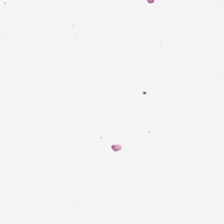Hematoxylin and eosin; 20× equivalent magnification.
Content — empty background.
